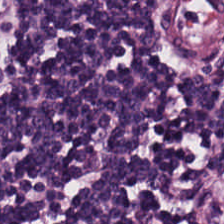Brightfield; H&E-stained tissue section. Tissue class — lymphocytes.
